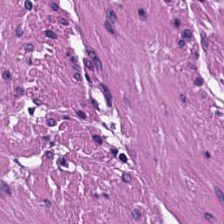20× equivalent magnification; brightfield microscopy; hematoxylin and eosin. The predominant tissue is muscularis.
